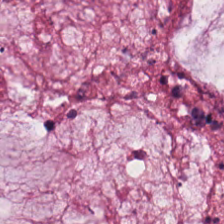Brightfield microscopy; hematoxylin and eosin; 224×224 pixel tile.
Impression — extracellular mucin.
